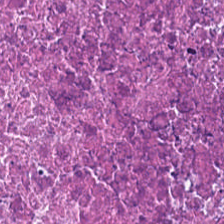H&E-stained tissue section.
This patch shows cellular debris.
